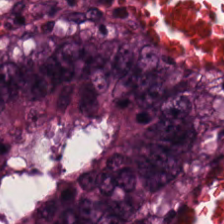Brightfield · hematoxylin-and-eosin stained section — Predominantly colorectal adenocarcinoma epithelium.
